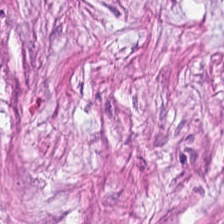Hematoxylin-and-eosin stained section. FFPE — This patch shows tumor-associated stroma.
